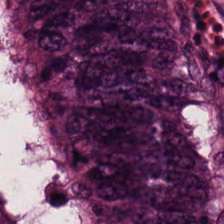Hematoxylin-and-eosin stained section — Colorectal adenocarcinoma epithelium.
